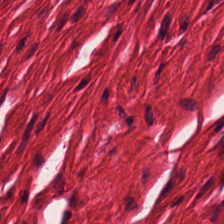The classification is smooth muscle.
